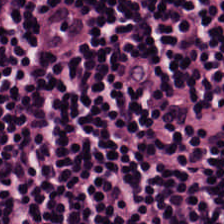Hematoxylin-and-eosin stained section — Predominantly lymphocytes.
